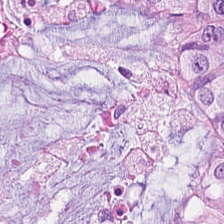H&E — Histology — malignant epithelium.
